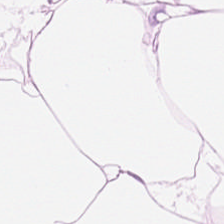Whole-slide-image patch. FFPE. H&E-stained tissue section. Finding — fat tissue.
